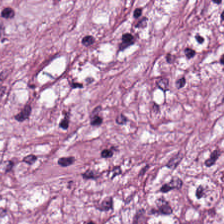Stain: H&E-stained tissue section.
Predominant tissue: cancer-associated stroma.
